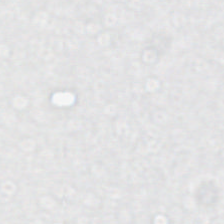WSI patch. H&E stain. Histology → background.
